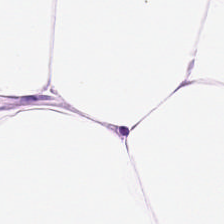Stain: H&E.
Classification: adipocytes.
